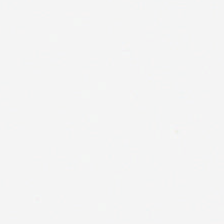No tissue.
